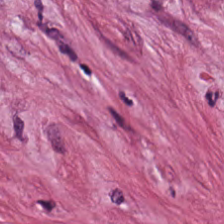Brightfield microscopy · 20× equivalent magnification · H&E stain.
The tissue here is tumor-associated stroma.
